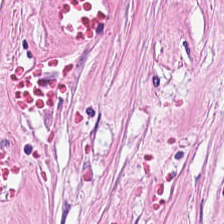Hematoxylin-and-eosin stained section. Formalin-fixed paraffin-embedded section — Classification — cancer-associated stroma.
